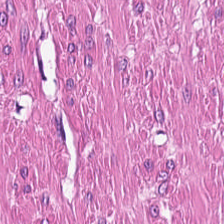Hematoxylin-and-eosin stained section — {"tissue_type": "smooth muscle"}
